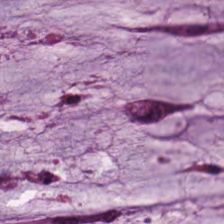H&E stain. Showing mucus.
